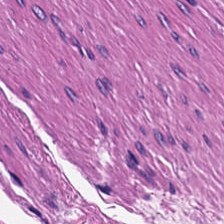H&E-stained tissue section. This patch shows muscularis.
